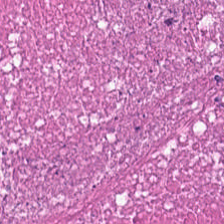H&E-stained tissue section. Impression — debris.
